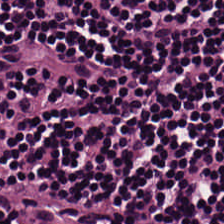224×224 px patch; H&E stain; 0.5 microns per pixel.
Predominant tissue: lymphocytic infiltrate.
